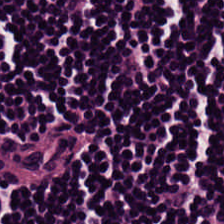Tissue: lymphocytes.
